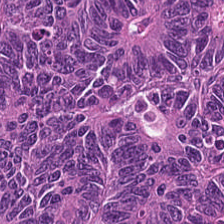Stain: H&E-stained tissue section.
Predominant tissue: adenocarcinoma.
